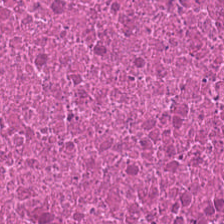H&E. Predominantly cellular debris.
